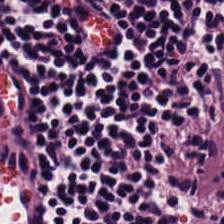Brightfield; formalin-fixed paraffin-embedded section; H&E stain.
Lymphocytic infiltrate.
